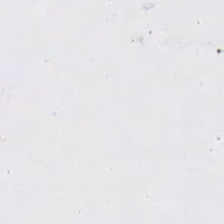H&E.
{"content": "background (no tissue)"}
